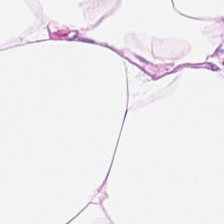224×224 pixel tile. 0.5 µm per pixel. H&E — The tissue is adipocytes.
